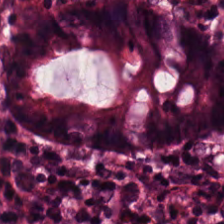Benign colonic mucosa.
